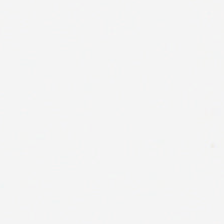H&E-stained tissue section — Q: Classify this patch.
A: No tissue.
